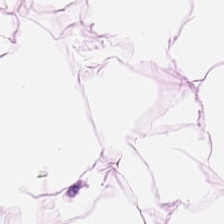0.5 microns per pixel; H&E; WSI patch. Q: What tissue type is shown here?
A: Fat tissue.
